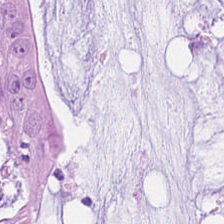H&E stain. FFPE tissue section.
Mucin.
